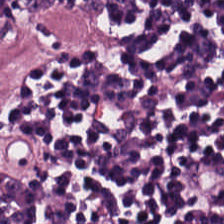H&E stain; 224×224 px patch. Q: What does this patch show?
A: The field shows lymphocytic infiltrate.
